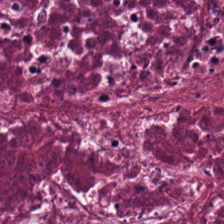Debris.
